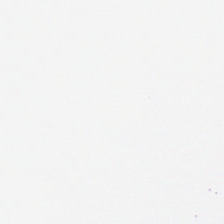FFPE. H&E. The content is empty background.
